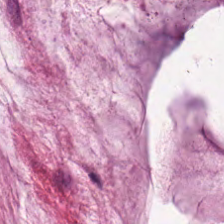Hematoxylin-and-eosin stained section.
Impression → mucus.
